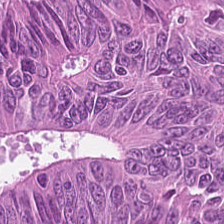Stain: H&E.
Tissue class: adenocarcinoma.
